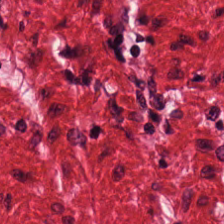Stain: H&E-stained tissue section.
Classification: smooth-muscle tissue.
